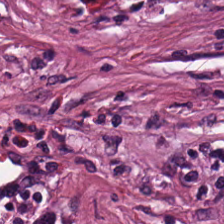H&E.
Q: What is the predominant tissue type?
A: Cancer-associated stroma.
